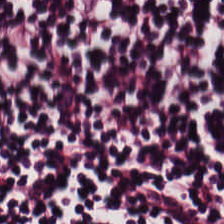H&E-stained tissue section.
{"tissue_type": "lymphocytes"}
